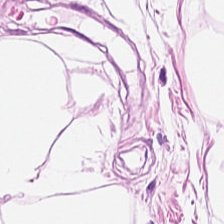224×224 px tile. H&E-stained tissue section. Brightfield. Showing adipocytes.
